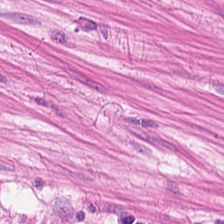Q: What is shown here?
A: The field shows muscularis.
